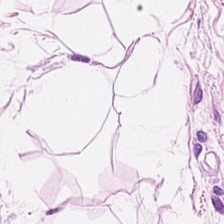Showing adipose tissue.
